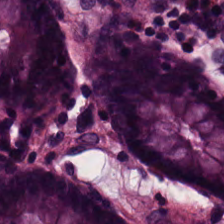H&E.
Tissue class = normal colon mucosa.
